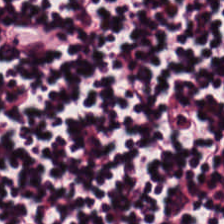0.5 µm per pixel · H&E-stained tissue section · 224×224 px tile. {"tissue_type": "lymphocyte aggregate"}
